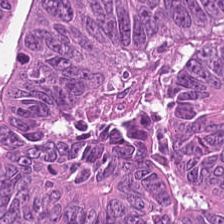Hematoxylin-and-eosin stained section. The tissue class is adenocarcinoma.
